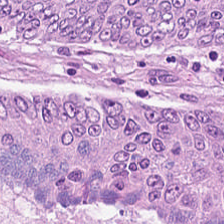Tissue — tumor epithelium.
